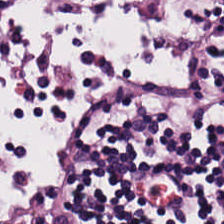Stain: H&E-stained tissue section.
Tissue class: lymphocytes.
